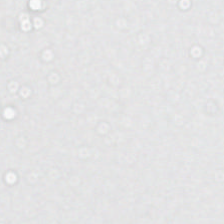H&E.
Histology — background (no tissue).
